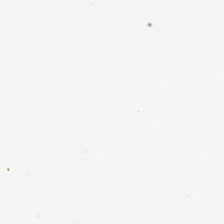0.5 µm/px · FFPE tissue section · hematoxylin-and-eosin stained section. No tissue.
